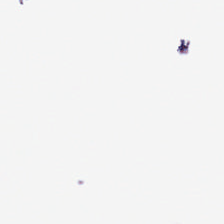Field content = no tissue.
